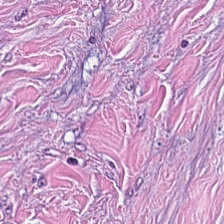Stain: H&E stain.
Predominant tissue: tumor stroma.
